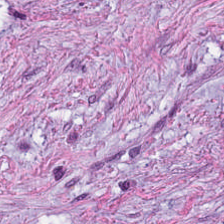Hematoxylin-and-eosin stained section.
The tissue here is tumor stroma.
